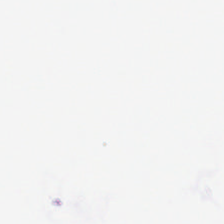Content: background (no tissue).
